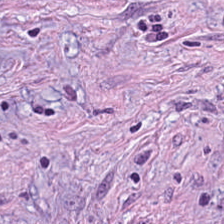20× equivalent magnification; WSI patch; hematoxylin-and-eosin stained section. Finding — tumor-associated stroma.
